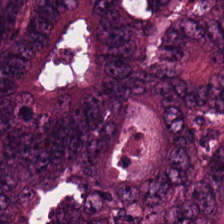H&E-stained tissue section — This patch shows adenocarcinoma.
